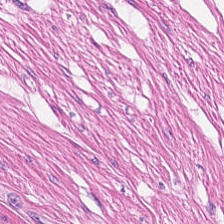H&E stain.
Impression — smooth-muscle tissue.
